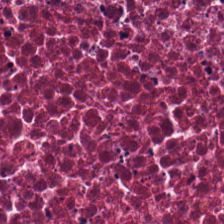Finding → necrotic debris.
